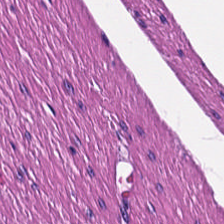Stain: H&E stain.
Resolution: 0.5 µm/px.
Tile size: 224×224 px patch.
Tissue type: smooth-muscle tissue.
